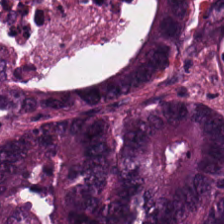Hematoxylin-and-eosin stained section · 224×224 px patch.
Predominant tissue = colorectal adenocarcinoma.
